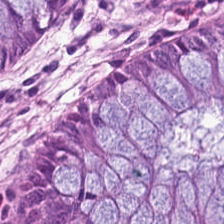Hematoxylin and eosin.
Normal colon mucosa.
